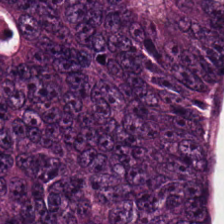H&E stain.
{"tissue_type": "colorectal adenocarcinoma epithelium"}
